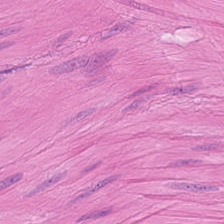Hematoxylin and eosin.
Q: What tissue is shown?
A: The field shows smooth muscle.
